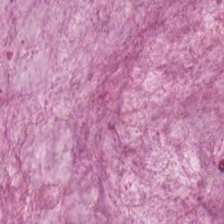Predominantly extracellular mucin.
